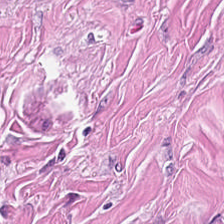H&E — The tissue here is tumor stroma.
